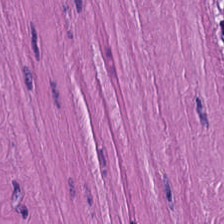H&E; 0.5 µm/px — Q: What tissue type is shown here?
A: The field shows smooth muscle.
